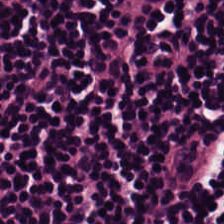Histology → lymphocyte aggregate.
